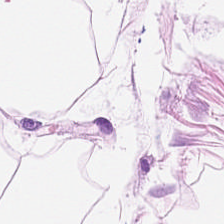224×224 px tile · H&E — Q: What tissue is shown?
A: Adipose.
